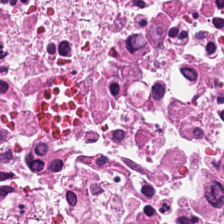Q: Identify the tissue.
A: Debris.
